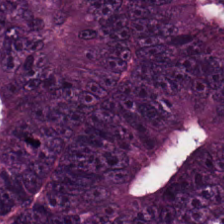0.5 microns per pixel; formalin-fixed paraffin-embedded section; H&E.
Predominantly tumor epithelium.
